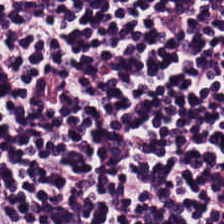Stain: H&E stain.
Tissue class: lymphocytic infiltrate.
